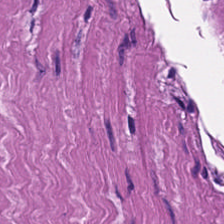Stain: H&E.
Tissue class: smooth muscle.
